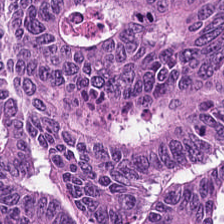20× equivalent magnification · H&E stain — Tissue type = colorectal adenocarcinoma.
